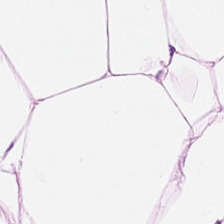Hematoxylin and eosin. FFPE tissue section.
The predominant tissue is adipose.
